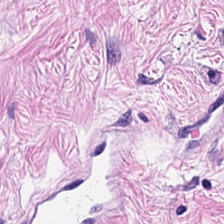H&E. Formalin-fixed paraffin-embedded section. Brightfield. The predominant tissue is tumor stroma.
